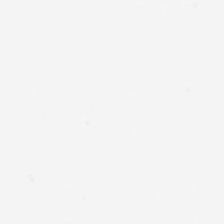Q: Classify this patch.
A: This is no tissue.
